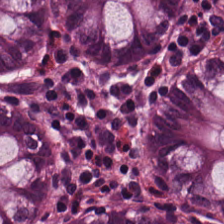Whole-slide-image patch. 0.5 µm/px. Hematoxylin-and-eosin stained section.
This field is benign colonic mucosa.
